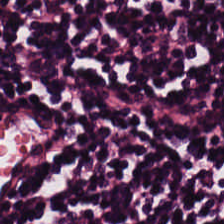Predominant tissue = lymphocyte aggregate.
